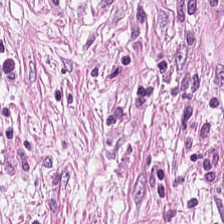WSI patch. H&E-stained tissue section.
{"tissue_type": "desmoplastic stroma"}
